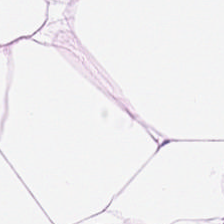H&E-stained tissue section; whole-slide-image patch. Predominantly fat tissue.
